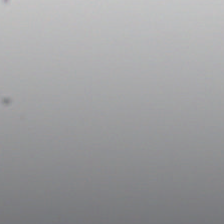Hematoxylin and eosin; 224×224 px tile.
Content — empty background.
